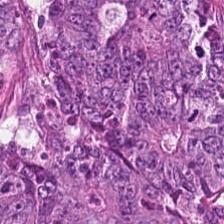Stain: H&E.
Acquisition: brightfield microscopy.
Classification: malignant epithelium.
